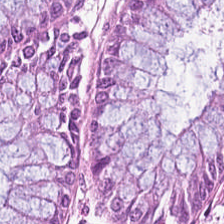H&E-stained tissue section — Tissue class: non-neoplastic colon mucosa.
